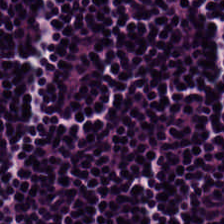Brightfield microscopy · H&E.
Tissue type = lymphocyte aggregate.
